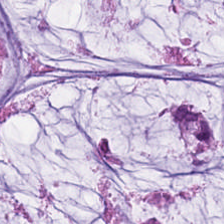H&E. Finding — extracellular mucin.
